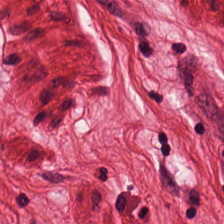Hematoxylin and eosin. Q: What is shown in this field?
A: It is smooth muscle.
